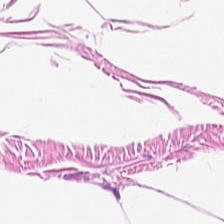H&E — fat tissue.
